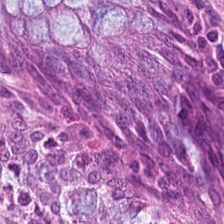Hematoxylin and eosin. Classification: normal colonic mucosa.
